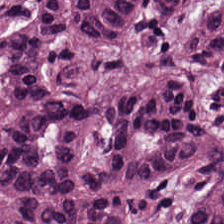H&E. 20× equivalent magnification — Histology — tumor epithelium.
